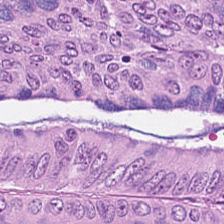H&E stain · 224×224 pixel tile · brightfield — Tissue type: tumor epithelium.
